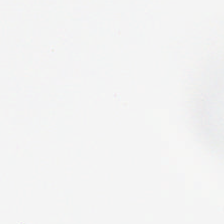Empty field — background.
